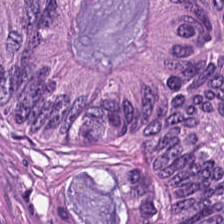H&E-stained tissue section; formalin-fixed paraffin-embedded section — This patch shows adenocarcinoma.
